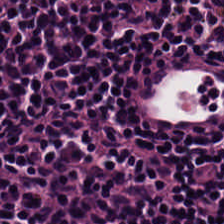Tissue type — lymphocytic infiltrate.
